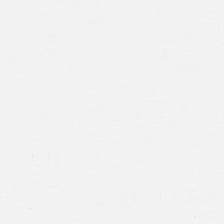224×224 px tile. H&E-stained tissue section. Brightfield — {"content": "no tissue"}
